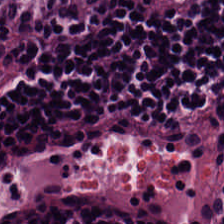20× equivalent magnification; H&E stain — Q: What is shown here?
A: Lymphoid infiltrate.
